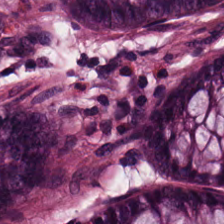0.5 µm/px. H&E stain.
Impression — benign colonic mucosa.
